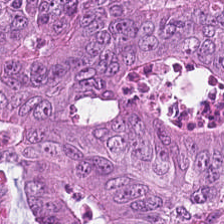FFPE tissue section. Hematoxylin-and-eosin stained section — The tissue here is colorectal adenocarcinoma epithelium.
